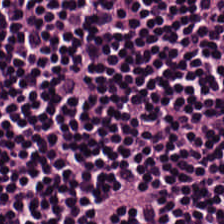FFPE. H&E-stained tissue section — The tissue here is lymphoid infiltrate.
